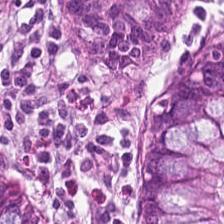Hematoxylin and eosin. Tissue class: non-neoplastic colon mucosa.
